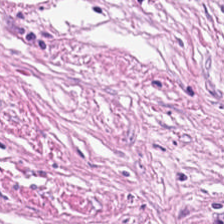H&E stain.
The predominant tissue is desmoplastic stroma.
